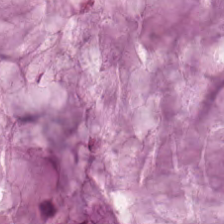Stain: hematoxylin and eosin.
Tissue class: mucin.
